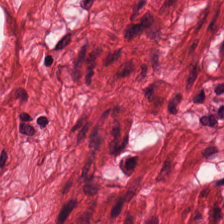224×224 px patch · brightfield · H&E-stained tissue section. Classification: smooth muscle.
